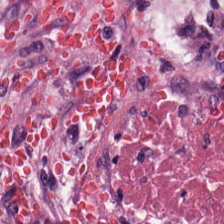Stain: H&E.
Tile size: 224×224 pixel tile.
Classification: necrotic debris.
